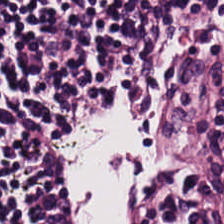H&E.
Tissue type = lymphoid infiltrate.
